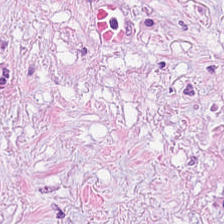Stain: H&E-stained tissue section.
Classification: cancer-associated stroma.
